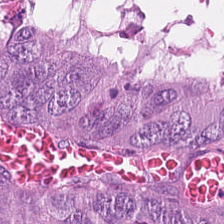Impression — adenocarcinoma.
